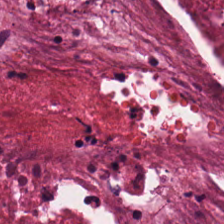FFPE tissue section; whole-slide-image patch; H&E-stained tissue section — Q: What type of tissue is this?
A: The field shows cellular debris.
